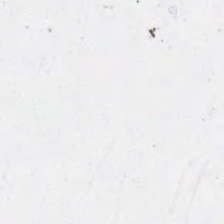H&E stain. 20× equivalent magnification — Empty background.
